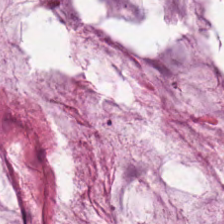224×224 px tile; H&E stain.
Tissue type: mucin.
